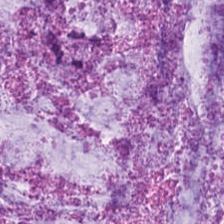Q: Identify the tissue.
A: It is mucin.
